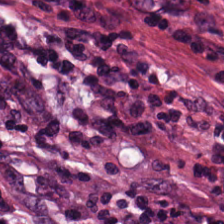H&E-stained tissue section; whole-slide-image patch. Finding → tumor-associated stroma.
